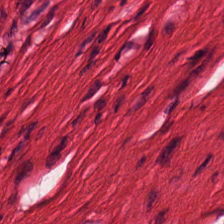Finding → muscularis.
